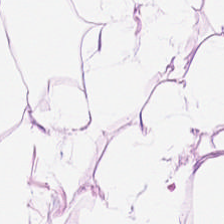The tissue here is adipose.
